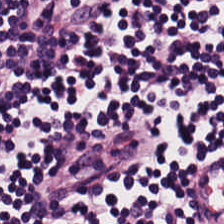H&E — Showing lymphocytes.
